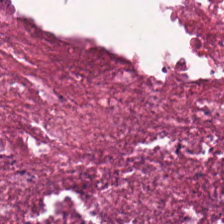The tissue type is debris.
